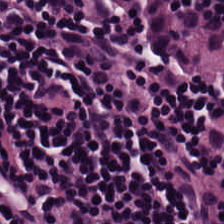Stain: H&E-stained tissue section.
Preparation: formalin-fixed paraffin-embedded section.
Tissue type: lymphocytes.
